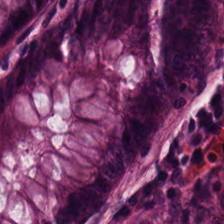H&E stain; 0.5 µm per pixel; formalin-fixed paraffin-embedded section. Q: What is shown in this field?
A: Normal colonic mucosa.
